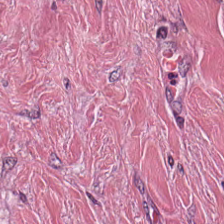{"tissue_type": "tumor stroma"}
